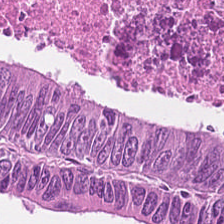0.5 microns per pixel. Hematoxylin and eosin. Brightfield microscopy. Q: What tissue type is shown here?
A: This is malignant epithelium.
